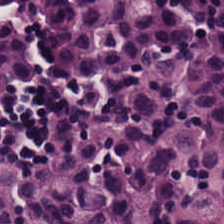{"tissue_type": "lymphocytes"}
